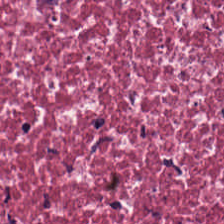H&E. Formalin-fixed paraffin-embedded section. 224×224 px tile. Predominantly desmoplastic stroma.
